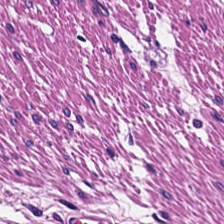FFPE. H&E-stained tissue section — This field is smooth muscle.
